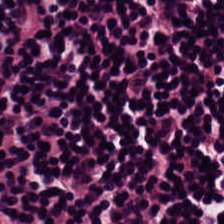H&E stain. Predominantly lymphocytic infiltrate.
